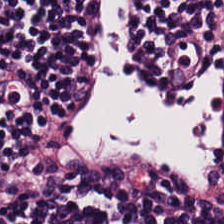Hematoxylin-and-eosin stained section. Classification = lymphocytes.
